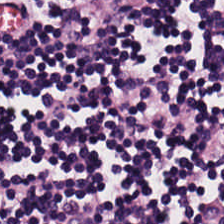H&E. Tissue type = lymphocyte aggregate.
